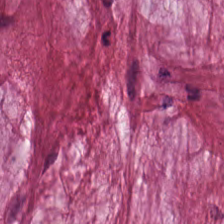FFPE tissue section. 224×224 px tile. Hematoxylin-and-eosin stained section. The predominant tissue is extracellular mucin.
